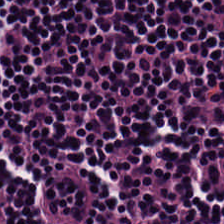The tissue class is lymphocytic infiltrate.
